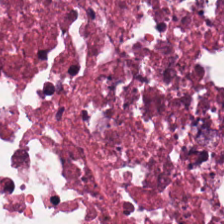224×224 px tile; FFPE; hematoxylin and eosin. Impression → cellular debris.
